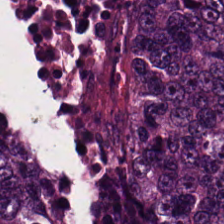Stain: H&E-stained tissue section.
Acquisition: brightfield microscopy.
Tissue type: tumor epithelium.
